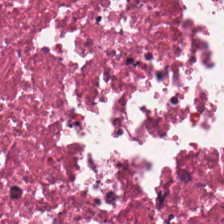Formalin-fixed paraffin-embedded section · H&E-stained tissue section.
The tissue here is necrotic debris.
